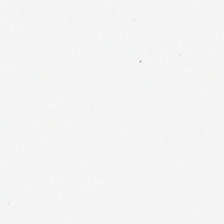224×224 pixel tile. FFPE. H&E — Q: Classify this patch.
A: It is background.
